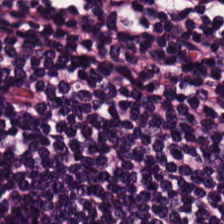H&E stain. 224×224 pixel tile. The predominant tissue is lymphocytic infiltrate.
